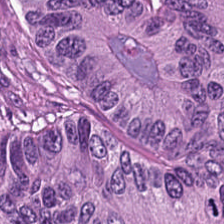Tissue type: tumor epithelium.
